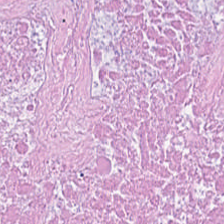Hematoxylin-and-eosin stained section · brightfield. Tissue type — debris.
